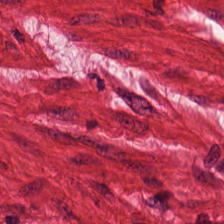H&E — Predominantly smooth muscle.
